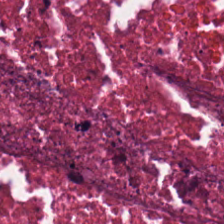Showing necrotic debris.
